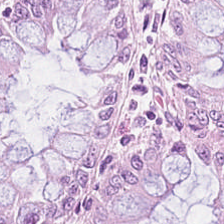Stain: hematoxylin and eosin.
Tissue class: non-neoplastic colon mucosa.
